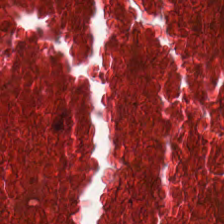0.5 µm/px. 224×224 px tile. H&E stain. Q: Classify this patch.
A: The field shows debris.
